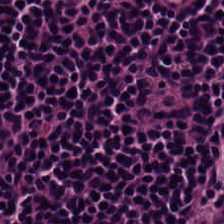Predominantly lymphocytic infiltrate.
